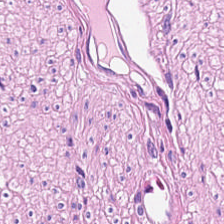Whole-slide-image patch. Hematoxylin-and-eosin stained section. Formalin-fixed paraffin-embedded section. Predominant tissue = muscularis.
